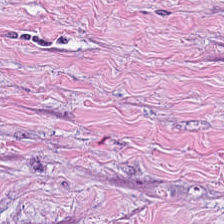Q: Classify this patch.
A: Tumor-associated stroma.
